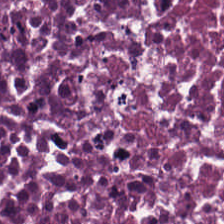Stain: H&E.
Tissue type: cellular debris.
